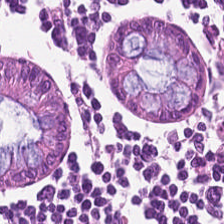FFPE tissue section; H&E stain.
This field is non-neoplastic colon mucosa.
